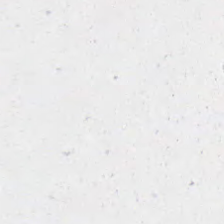Whole-slide-image patch. H&E. 0.5 microns per pixel. Empty field — no tissue.
